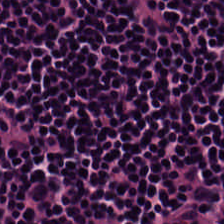Q: What tissue is shown?
A: The field shows lymphocyte aggregate.
